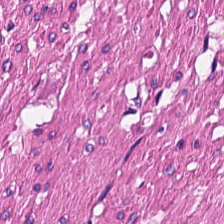224×224 px patch; H&E-stained tissue section — Impression — smooth muscle.
